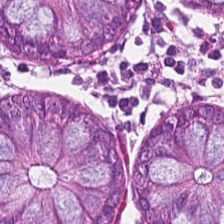H&E. Tissue = non-neoplastic colon mucosa.
